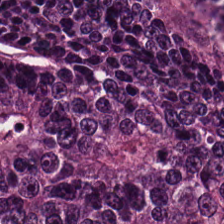Tissue type — colorectal adenocarcinoma.
